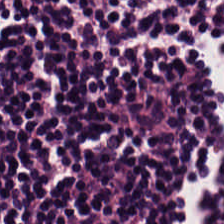H&E — Q: Identify the tissue.
A: The field shows lymphocyte aggregate.
